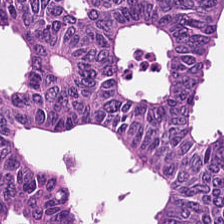224×224 px patch · hematoxylin-and-eosin stained section.
Predominant tissue: tumor epithelium.
